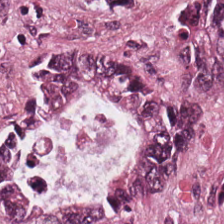Brightfield · H&E.
Q: Classify this patch.
A: It is colorectal adenocarcinoma epithelium.
